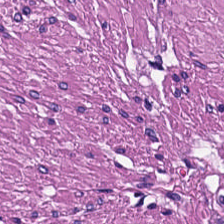H&E-stained tissue section showing muscularis.
